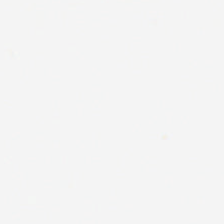FFPE tissue section. Hematoxylin-and-eosin stained section. The content is no tissue.
